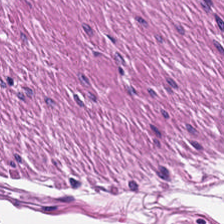FFPE · hematoxylin-and-eosin stained section.
Predominant tissue = smooth muscle.
